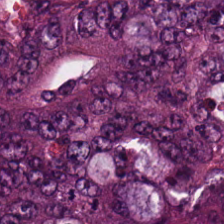H&E stain. Finding — colorectal adenocarcinoma epithelium.
